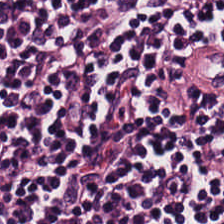Hematoxylin and eosin — {"tissue_type": "lymphocyte aggregate"}
